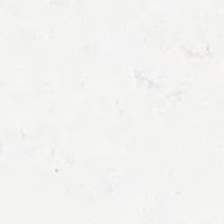Q: What is shown here?
A: This is background.
